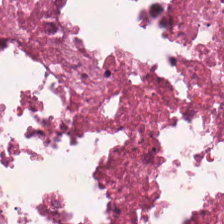H&E stain. Q: What is the predominant tissue type?
A: This is necrotic debris.
